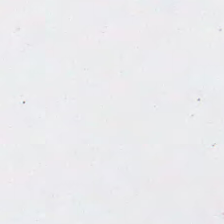Hematoxylin and eosin. Empty field — no tissue.
